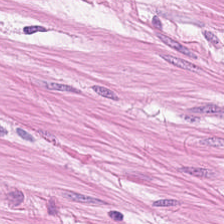0.5 µm per pixel · H&E stain — Q: What is shown in this field?
A: The field shows smooth-muscle tissue.
